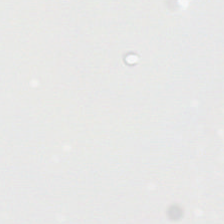Whole-slide-image patch; H&E.
Q: What does this patch show?
A: The field shows background (no tissue).
